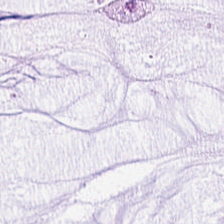FFPE; H&E stain — The tissue here is extracellular mucin.
